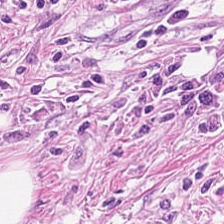Predominant tissue: cancer-associated stroma.
